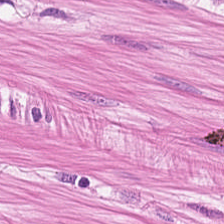Showing smooth muscle.
